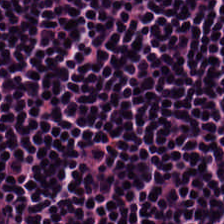224×224 px patch. Hematoxylin and eosin.
Tissue = lymphoid infiltrate.
